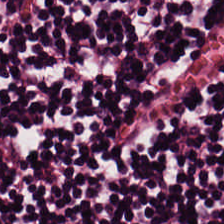H&E stain. The tissue class is lymphocyte aggregate.
